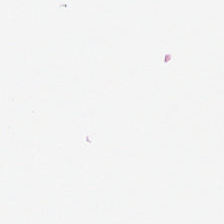Brightfield microscopy. H&E.
No tissue present; background only.
